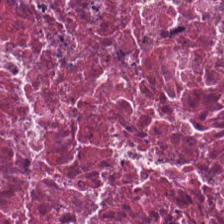H&E · 20× equivalent magnification. Cellular debris.
